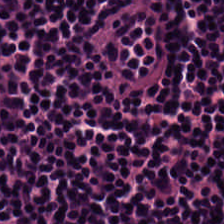Stain: hematoxylin-and-eosin stained section.
Classification: lymphocytic infiltrate.
